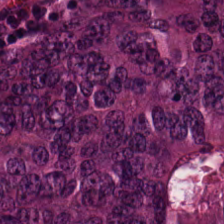Stain: hematoxylin-and-eosin stained section.
Classification: tumor epithelium.
